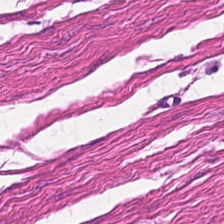{"tissue_type": "muscularis"}
